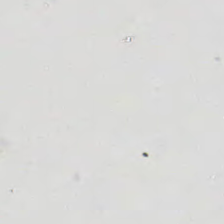H&E stain · 20× equivalent magnification — Background — no tissue in this field.
